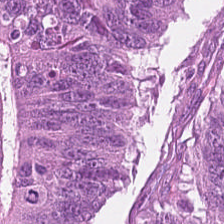Hematoxylin-and-eosin stained section. Tissue = adenocarcinoma.
